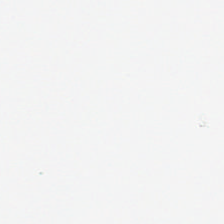Hematoxylin-and-eosin stained section · formalin-fixed paraffin-embedded section. {"content": "background (no tissue)"}
